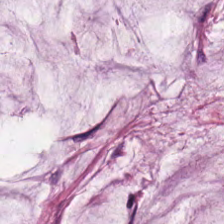20× equivalent magnification; hematoxylin-and-eosin stained section — This field is extracellular mucin.
